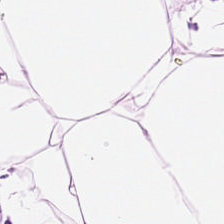This patch shows adipocytes.
